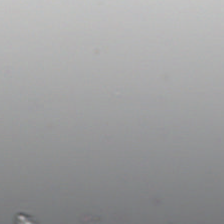Stain: H&E stain.
Field content: background.
